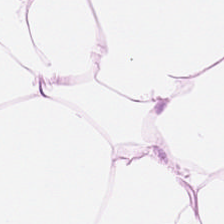0.5 µm per pixel. Hematoxylin and eosin. 224×224 px patch — Tissue type: adipose tissue.
